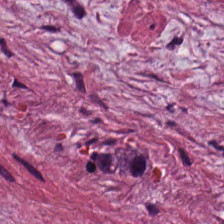H&E-stained tissue section. Predominant tissue: cancer-associated stroma.
